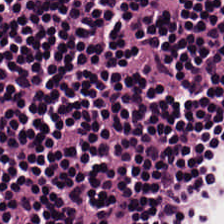FFPE; hematoxylin and eosin. Q: Identify the tissue.
A: This is lymphocytic infiltrate.
